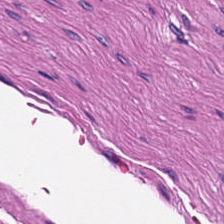The tissue here is smooth muscle.
